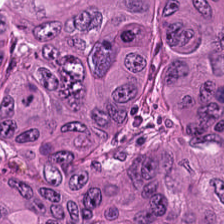H&E patch showing colorectal adenocarcinoma.
